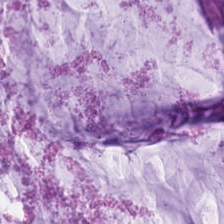H&E-stained section; the field shows mucus.
